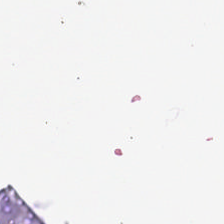Impression → background (no tissue).
